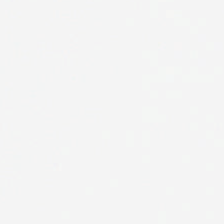Hematoxylin-and-eosin stained section. WSI patch.
Content: background.
